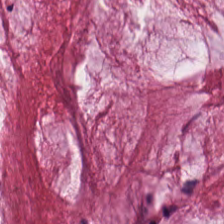H&E — The predominant tissue is extracellular mucin.
